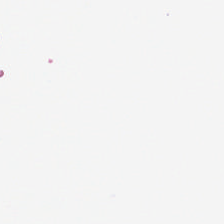H&E stain — Histology — background (no tissue).
